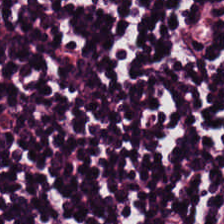Q: What is the predominant tissue type?
A: This is lymphocytic infiltrate.
